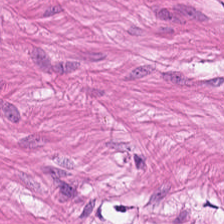H&E stain. Muscularis.
